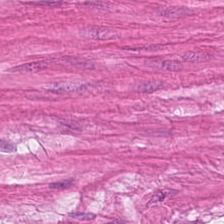Brightfield microscopy · hematoxylin and eosin. Predominant tissue: muscularis.
